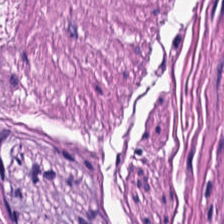H&E stain.
Q: What does this patch show?
A: It is muscularis.
